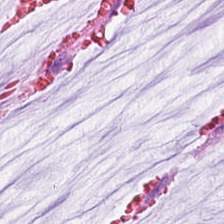Hematoxylin-and-eosin stained section. The tissue here is mucus.
